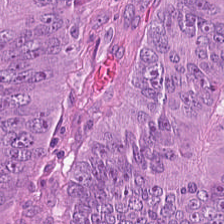Hematoxylin-and-eosin stained section. Brightfield — Predominantly tumor epithelium.
